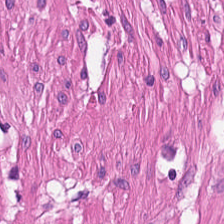Tissue type — muscularis.
